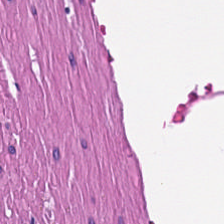Hematoxylin-and-eosin stained section. Classification = smooth-muscle tissue.
